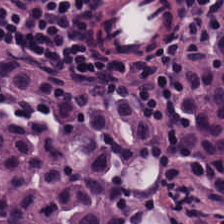{"tissue_type": "lymphocytes"}
